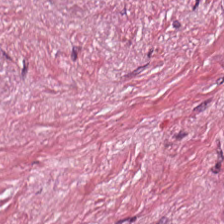Formalin-fixed paraffin-embedded section. Brightfield. H&E — Q: What does this patch show?
A: The field shows desmoplastic stroma.
